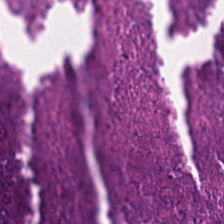Stain: hematoxylin and eosin.
Tissue: debris.
